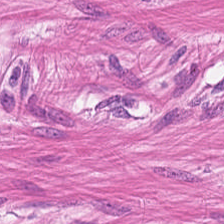224×224 px tile. H&E.
The tissue here is smooth muscle.
